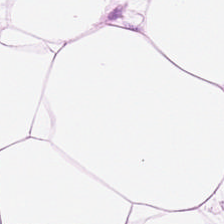0.5 microns per pixel · H&E-stained tissue section — Q: What tissue is shown?
A: Fat tissue.
